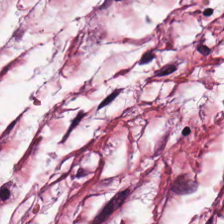Hematoxylin and eosin — Cancer-associated stroma.
